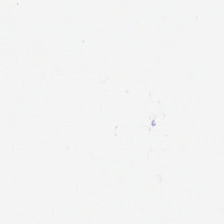H&E-stained tissue section — Q: What is shown here?
A: The field shows background.
